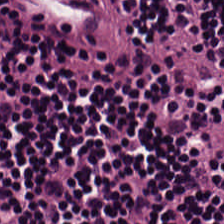0.5 microns per pixel. H&E-stained tissue section — Showing lymphoid infiltrate.
